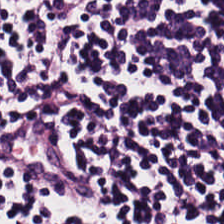H&E-stained tissue section. Q: What is the predominant tissue type?
A: Lymphocytes.
